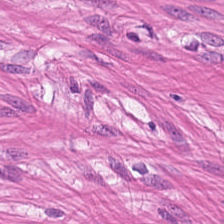Hematoxylin-and-eosin stained section — Predominantly muscularis.
